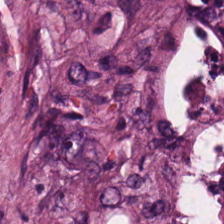FFPE. H&E.
Showing tumor-associated stroma.
